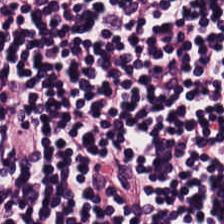FFPE tissue section. H&E.
The tissue type is lymphoid infiltrate.
